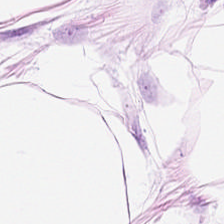H&E-stained tissue section. Brightfield microscopy — Fat tissue.
